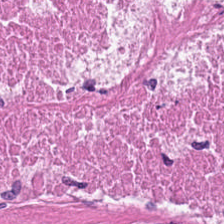Brightfield. Hematoxylin and eosin. 224×224 px patch — Q: Classify this patch.
A: The field shows necrotic debris.
